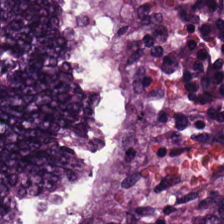Q: What type of tissue is this?
A: This is malignant epithelium.
